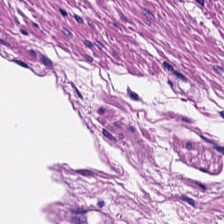Formalin-fixed paraffin-embedded section; H&E-stained tissue section — Predominant tissue — smooth muscle.
